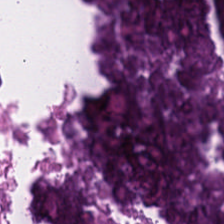Stain: hematoxylin-and-eosin stained section.
Tile size: 224×224 pixel tile.
Tissue type: debris.
